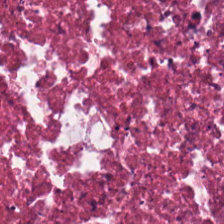0.5 µm/px. H&E stain — Predominant tissue = cellular debris.
